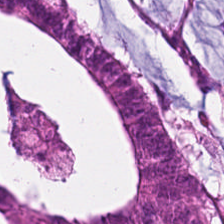WSI patch · H&E stain — The predominant tissue is tumor epithelium.
